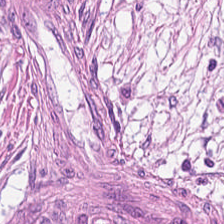{"tissue_type": "cancer-associated stroma"}
